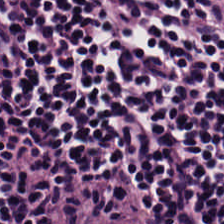Hematoxylin-and-eosin stained section — Lymphocytic infiltrate.
